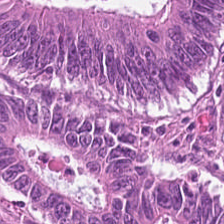H&E-stained tissue section.
Showing colorectal adenocarcinoma epithelium.
